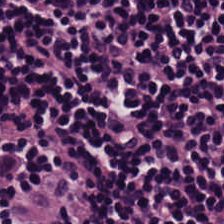Stain: hematoxylin-and-eosin stained section.
Tissue class: lymphocyte aggregate.
